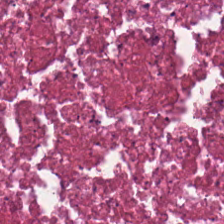WSI patch · hematoxylin and eosin · 224×224 px patch.
Classification = necrotic debris.
